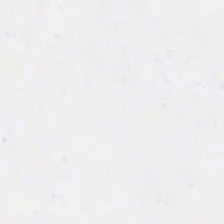Hematoxylin-and-eosin stained section. 20× equivalent magnification. This field is background (no tissue).
